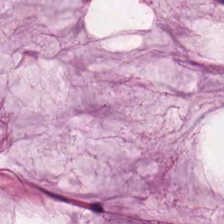Tissue type — mucus.
